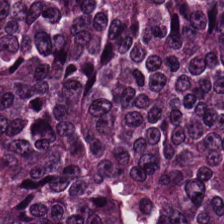Stain: H&E-stained tissue section.
Tile size: 224×224 pixel tile.
Resolution: 0.5 µm per pixel.
Tissue: adenocarcinoma.
